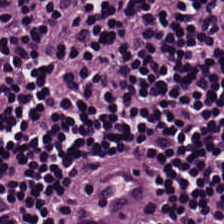WSI patch. Hematoxylin and eosin. FFPE tissue section.
The predominant tissue is lymphocytic infiltrate.
